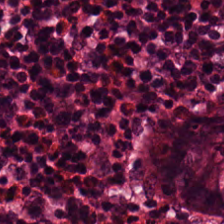Brightfield microscopy. H&E-stained tissue section. The tissue here is non-neoplastic colon mucosa.
